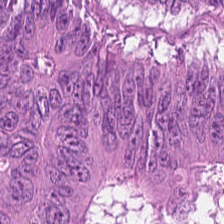Stain: hematoxylin and eosin.
Tissue type: colorectal adenocarcinoma epithelium.
